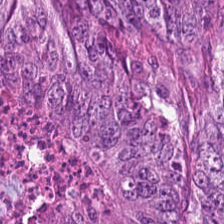H&E-stained tissue section; 20× equivalent magnification. Finding — malignant epithelium.
